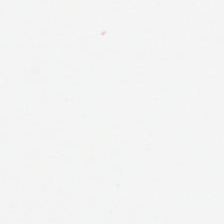H&E-stained tissue section — Empty field — no tissue.
